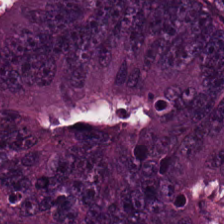Hematoxylin-and-eosin stained section; brightfield.
This patch shows adenocarcinoma.
